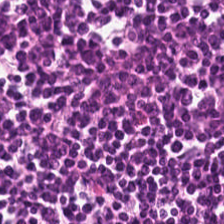Hematoxylin and eosin.
Showing lymphocytes.
